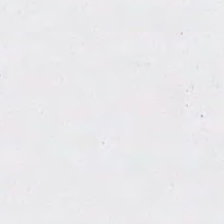H&E-stained tissue section. Background.
